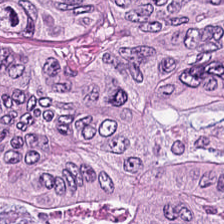Q: Identify the tissue.
A: It is adenocarcinoma.
